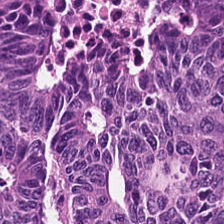H&E stain — Predominantly malignant epithelium.
